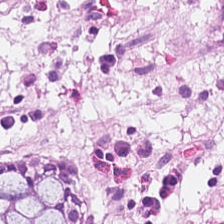Hematoxylin-and-eosin stained section. Q: What is the predominant tissue type?
A: Benign colonic mucosa.
